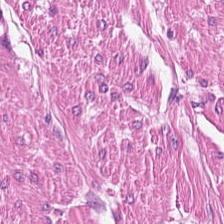Q: Identify the tissue.
A: Smooth muscle.
